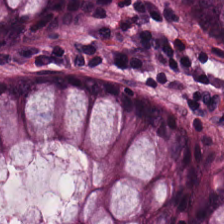224×224 px patch · hematoxylin-and-eosin stained section — Non-neoplastic colon mucosa.
